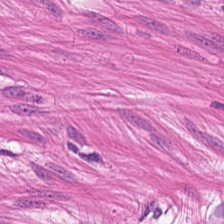Tissue type = smooth muscle.
